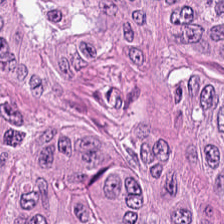Q: What tissue type is shown here?
A: The field shows tumor epithelium.
